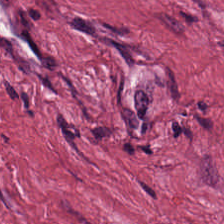H&E · 0.5 µm per pixel · FFPE tissue section.
Tissue type — desmoplastic stroma.
